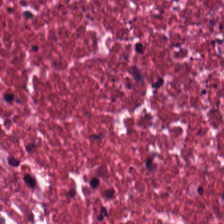The tissue class is necrotic debris.
